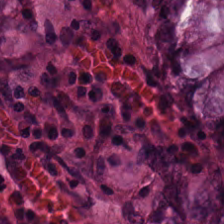FFPE tissue section · hematoxylin and eosin. Q: What is shown here?
A: The field shows normal colon mucosa.
